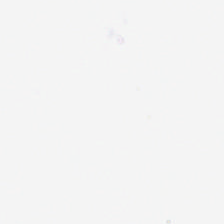H&E — Field content — background (no tissue).
